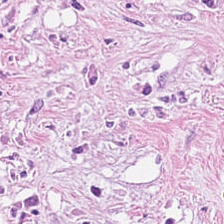Stain: H&E stain.
Preparation: formalin-fixed paraffin-embedded section.
Tissue class: cancer-associated stroma.
